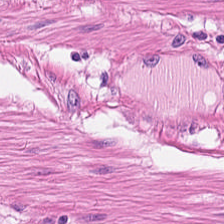Hematoxylin and eosin · 20× equivalent magnification.
Predominantly muscularis.
